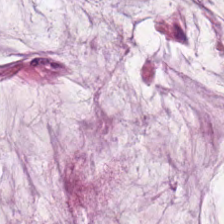H&E. FFPE tissue section.
Tissue type = extracellular mucin.
